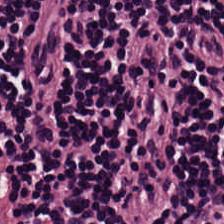224×224 px patch; H&E-stained tissue section. Q: Classify this patch.
A: Lymphocytes.
